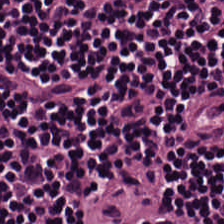Stain: hematoxylin and eosin.
Classification: lymphocytic infiltrate.
